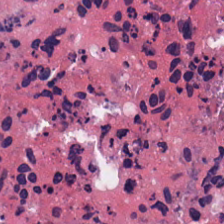Q: What is the predominant tissue type?
A: This is debris.
